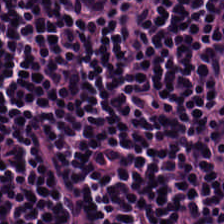Hematoxylin-and-eosin stained section — Lymphoid infiltrate.
